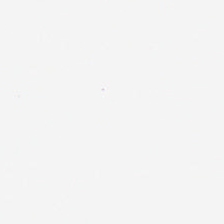224×224 px tile · hematoxylin-and-eosin stained section.
Content — empty background.
